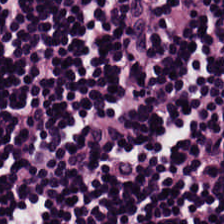Stain: H&E-stained tissue section.
Tissue class: lymphoid infiltrate.
